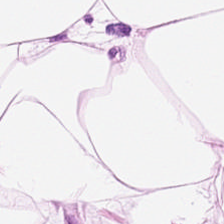H&E; 0.5 µm per pixel.
Finding — adipose.
